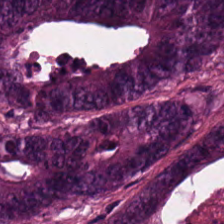Hematoxylin and eosin — This field is tumor epithelium.
